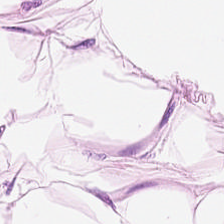H&E stain.
This patch shows adipose.
